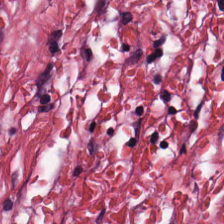Stain: H&E stain.
Tissue type: tumor-associated stroma.
